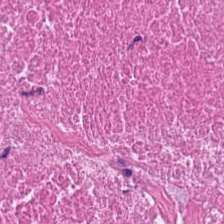H&E.
Q: Identify the tissue.
A: It is necrotic debris.
